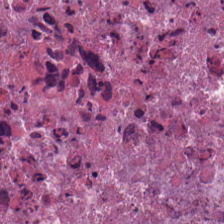H&E stain. Classification: debris.
